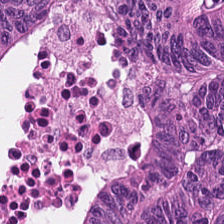Hematoxylin-and-eosin stained section — The tissue here is malignant epithelium.
